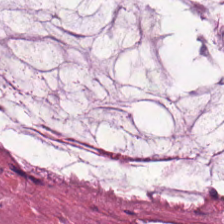Brightfield. H&E-stained tissue section — Mucus.
